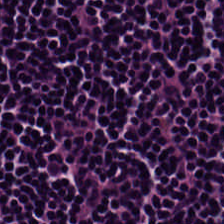Q: Classify this patch.
A: It is lymphoid infiltrate.
